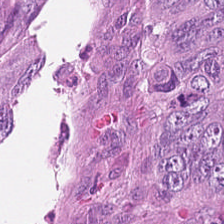H&E; 20× equivalent magnification; 224×224 px patch — {"tissue_type": "tumor epithelium"}
